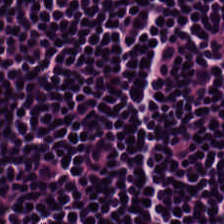Hematoxylin-and-eosin stained section — Impression → lymphocytic infiltrate.
